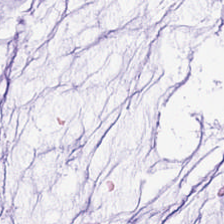Hematoxylin and eosin. Tissue type — mucin.
